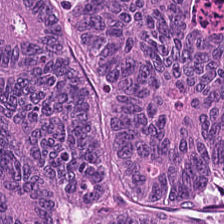Hematoxylin-and-eosin stained section — Q: What is the predominant tissue type?
A: It is colorectal adenocarcinoma.
